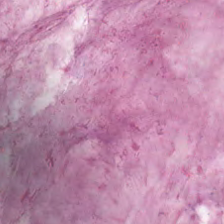H&E-stained section; the field shows extracellular mucin.
